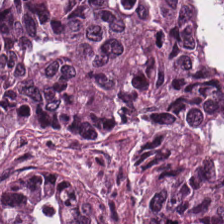Q: What is shown in this field?
A: This is malignant epithelium.
